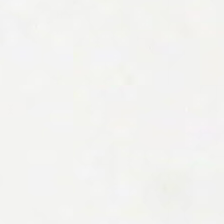Classification: background (no tissue).
